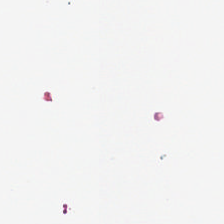H&E stain; brightfield microscopy — Content — background.
